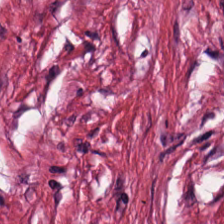Hematoxylin-and-eosin stained section. Formalin-fixed paraffin-embedded section. 224×224 px patch.
Tissue type — tumor stroma.
